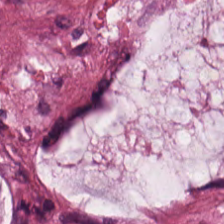Tissue class — extracellular mucin.
